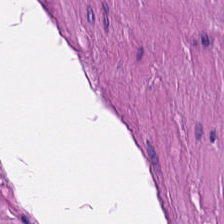H&E · FFPE · 224×224 pixel tile.
The tissue is smooth-muscle tissue.
